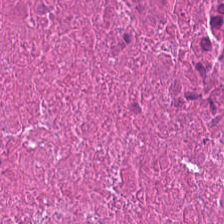Stain: hematoxylin and eosin.
Preparation: FFPE.
Tile size: 224×224 px patch.
Tissue: cellular debris.
